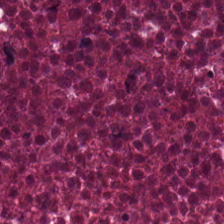Stain: H&E-stained tissue section.
Tissue: cellular debris.
